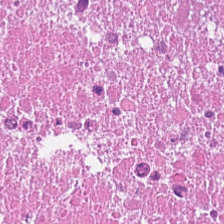Hematoxylin and eosin. Finding → debris.
